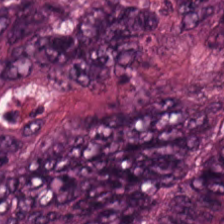FFPE. 20× equivalent magnification. Hematoxylin-and-eosin stained section. Q: What is the predominant tissue type?
A: The field shows mucin.
